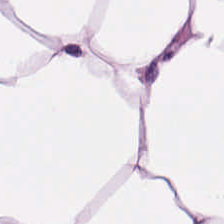H&E; 20× equivalent magnification; FFPE tissue section — Tissue — adipose tissue.
